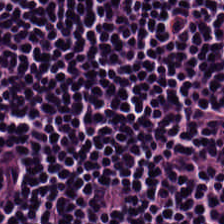Stain: hematoxylin and eosin.
Tile size: 224×224 px patch.
Preparation: FFPE.
Tissue type: lymphocytes.
